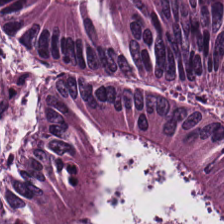Histology — colorectal adenocarcinoma epithelium.
